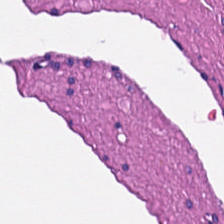Hematoxylin and eosin · FFPE.
The predominant tissue is smooth muscle.
